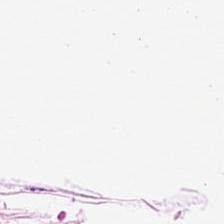0.5 microns per pixel; 224×224 px tile; H&E-stained tissue section — {"tissue_type": "adipocytes"}
